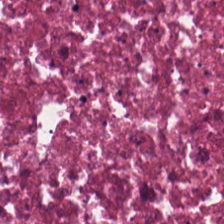FFPE tissue section · hematoxylin-and-eosin stained section.
This patch shows necrotic debris.
